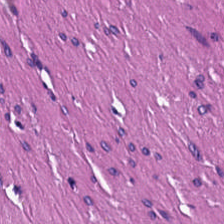Stain: hematoxylin-and-eosin stained section.
Preparation: FFPE tissue section.
Tissue class: smooth-muscle tissue.
